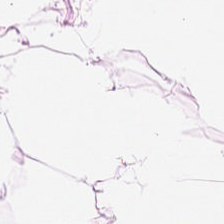WSI patch · 0.5 µm/px · hematoxylin-and-eosin stained section.
Tissue: adipose.
